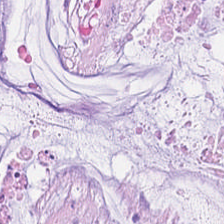Stain: H&E stain.
Predominant tissue: extracellular mucin.
